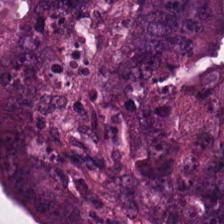224×224 px tile. H&E-stained tissue section. The tissue here is tumor epithelium.
